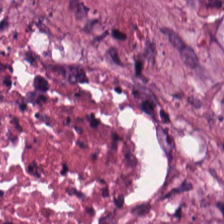The tissue here is necrotic debris.
